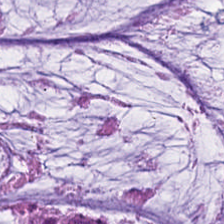Hematoxylin and eosin. Q: What type of tissue is this?
A: Mucus.
